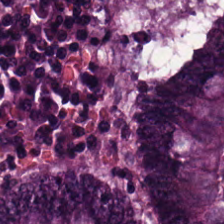Formalin-fixed paraffin-embedded section. Brightfield. Hematoxylin-and-eosin stained section. Q: What does this patch show?
A: It is adenocarcinoma.
